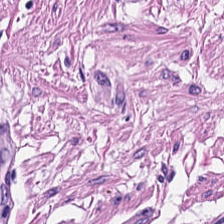H&E — smooth-muscle tissue.
